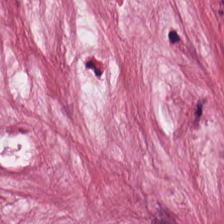FFPE tissue section. Hematoxylin-and-eosin stained section — Tissue class — desmoplastic stroma.
